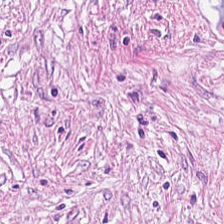H&E-stained tissue section.
This field is tumor-associated stroma.
